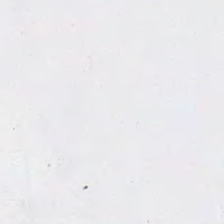Hematoxylin-and-eosin stained section.
The content is no tissue.
